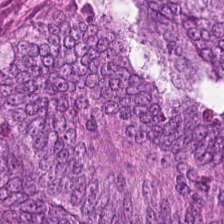Hematoxylin-and-eosin stained section. Q: What tissue is shown?
A: This is colorectal adenocarcinoma epithelium.
